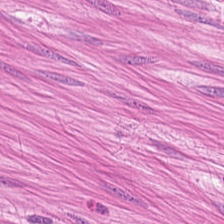Hematoxylin-and-eosin stained section.
Tissue type — smooth-muscle tissue.
